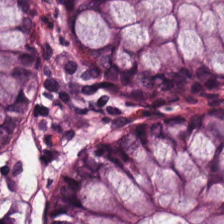H&E-stained tissue section — Q: Classify this patch.
A: The field shows non-neoplastic colon mucosa.
